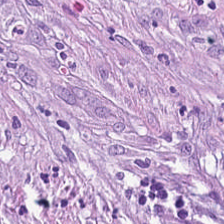This field is tumor stroma.
